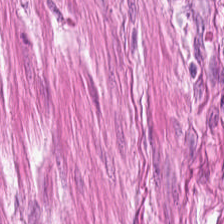Stain: H&E stain.
Preparation: FFPE tissue section.
Tissue class: muscularis.
